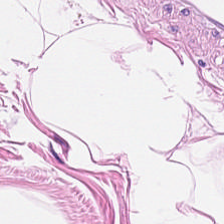Hematoxylin-and-eosin stained section — Q: What does this patch show?
A: It is fat tissue.
